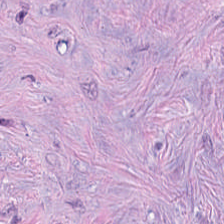Stain: H&E.
Preparation: FFPE tissue section.
Acquisition: brightfield.
Predominant tissue: tumor-associated stroma.
